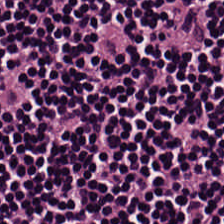224×224 pixel tile · FFPE tissue section · H&E-stained tissue section. The classification is lymphoid infiltrate.
